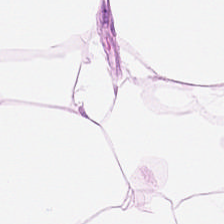Classification: adipose tissue.
